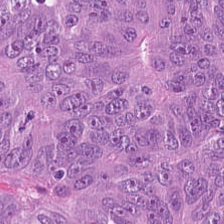Predominant tissue — malignant epithelium.
